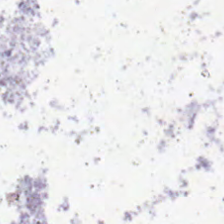Formalin-fixed paraffin-embedded section; 224×224 px tile; hematoxylin and eosin.
Q: What does this patch show?
A: This is empty background.
